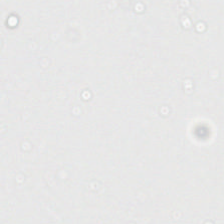H&E stain · 0.5 microns per pixel — Background — no tissue in this field.
